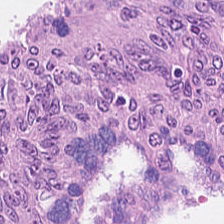20× equivalent magnification · H&E stain — Q: What type of tissue is this?
A: This is tumor epithelium.
